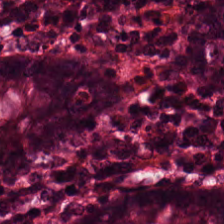Hematoxylin and eosin. Whole-slide-image patch. The tissue class is benign colonic mucosa.
